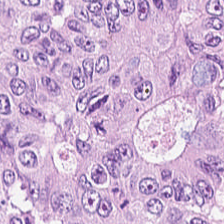The predominant tissue is colorectal adenocarcinoma epithelium.
